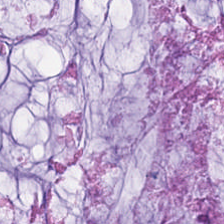Stain: H&E-stained tissue section.
Tissue class: mucus.
